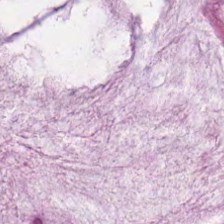Stain: hematoxylin and eosin.
Classification: mucin.
